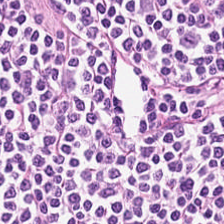{"tissue_type": "lymphocytic infiltrate"}
